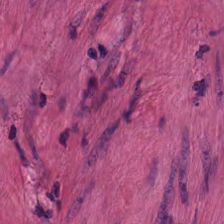H&E stain · 224×224 px patch — Tissue class: smooth-muscle tissue.
